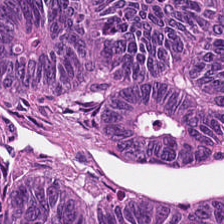Tissue class — adenocarcinoma.
